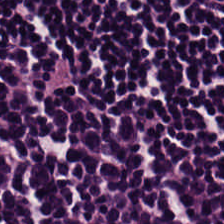This field is lymphoid infiltrate.
